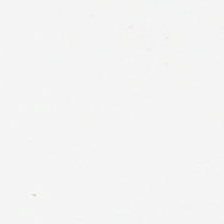No tissue present; background only.
